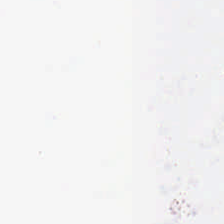H&E-stained tissue section — Background (no tissue).
